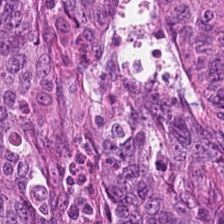H&E — Malignant epithelium.
